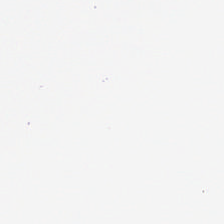Hematoxylin and eosin. The field content is no tissue.
